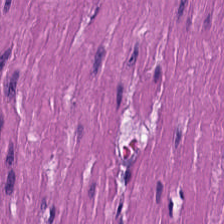Hematoxylin-and-eosin stained section. Tissue: smooth-muscle tissue.
